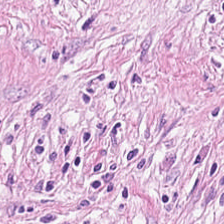H&E. 0.5 µm per pixel — {"tissue_type": "cancer-associated stroma"}
